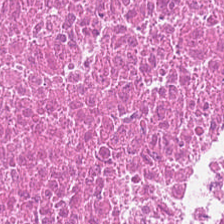Hematoxylin and eosin. FFPE tissue section. Whole-slide-image patch.
The tissue type is necrotic debris.
